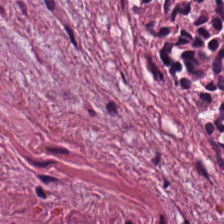Finding → tumor stroma.
